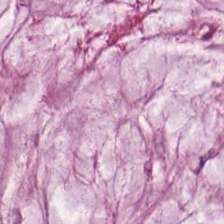Impression — mucin.
